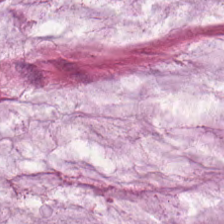Hematoxylin and eosin · WSI patch.
The predominant tissue is extracellular mucin.
